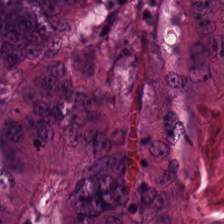H&E patch showing colorectal adenocarcinoma epithelium.
